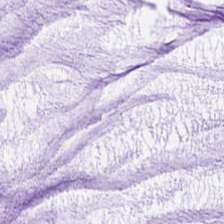H&E stain · brightfield — Q: What is shown here?
A: It is mucin.
